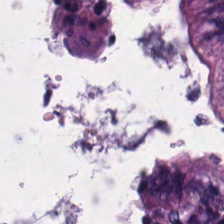H&E-stained section; the field shows benign colonic mucosa.
